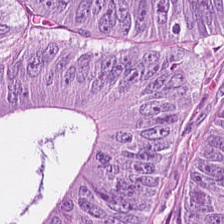H&E — colorectal adenocarcinoma.
